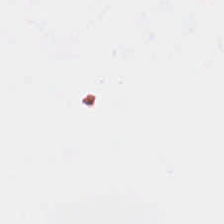Q: What is shown in this field?
A: Background.
